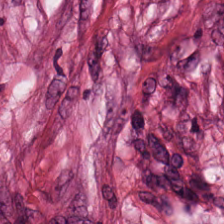FFPE. H&E-stained tissue section. Tissue class = cancer-associated stroma.
